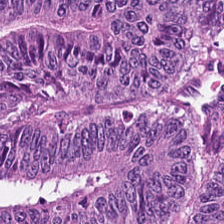Hematoxylin-and-eosin stained section; 224×224 pixel tile. Histology — adenocarcinoma.
